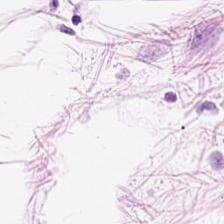0.5 µm/px. H&E stain. {"tissue_type": "adipose tissue"}
